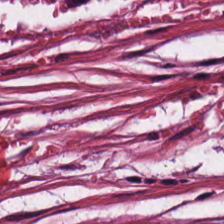H&E.
This field is desmoplastic stroma.
